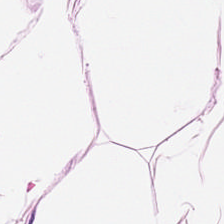H&E · FFPE. Predominantly adipocytes.
